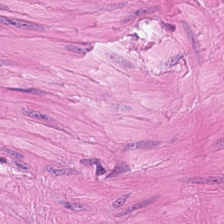Showing smooth muscle.
